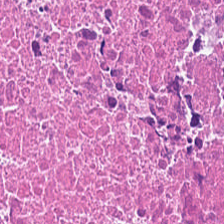Histology — debris.
